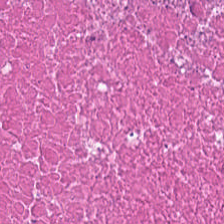Hematoxylin and eosin. Predominant tissue: cellular debris.
